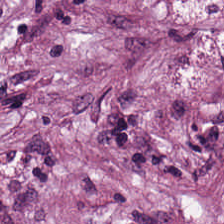H&E-stained section; the field shows tumor stroma.
